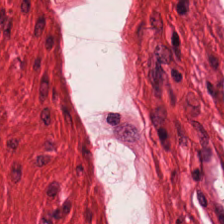20× equivalent magnification · 224×224 px tile · H&E stain. Q: What does this patch show?
A: This is smooth-muscle tissue.
